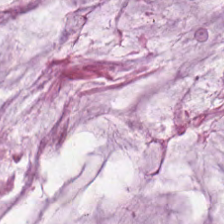224×224 px tile. Hematoxylin and eosin.
Histology → mucus.
